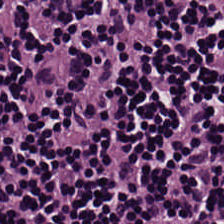Hematoxylin and eosin; 224×224 pixel tile; FFPE tissue section.
The tissue is lymphocyte aggregate.
